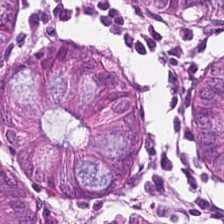Hematoxylin and eosin · FFPE tissue section.
This field is non-neoplastic colon mucosa.
